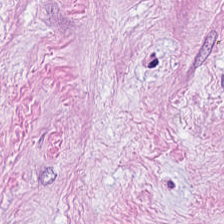FFPE; hematoxylin-and-eosin stained section.
Predominantly desmoplastic stroma.
